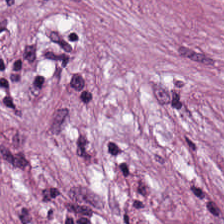Brightfield; hematoxylin and eosin — Q: What is the predominant tissue type?
A: The field shows tumor-associated stroma.
